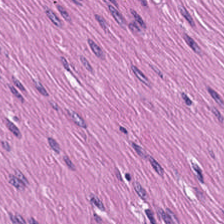H&E-stained tissue section; 224×224 px patch. Impression → smooth muscle.
